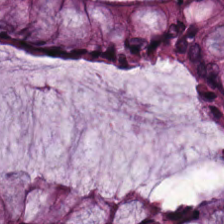Hematoxylin and eosin — Showing normal colon mucosa.
